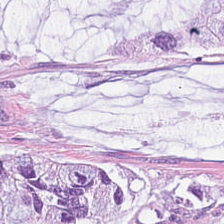H&E stain. Q: What tissue type is shown here?
A: Extracellular mucin.
